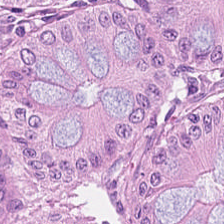Hematoxylin-and-eosin stained section. Classification — benign colonic mucosa.
